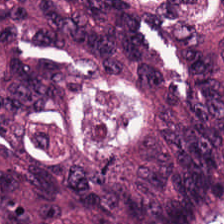Finding — colorectal adenocarcinoma.
